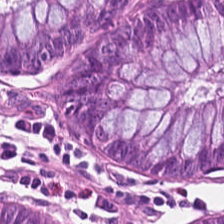20× equivalent magnification. H&E — Impression — benign colonic mucosa.
